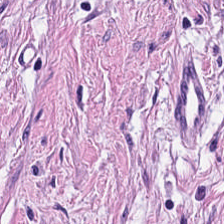H&E-stained tissue section.
Tissue: smooth muscle.
